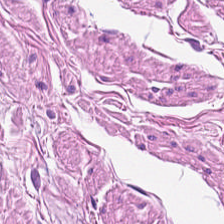H&E-stained tissue section — The predominant tissue is smooth muscle.
